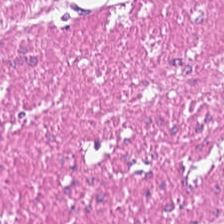Stain: H&E.
Classification: smooth-muscle tissue.
